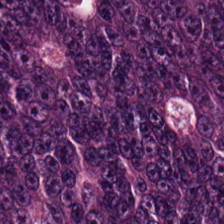The classification is colorectal adenocarcinoma epithelium.
